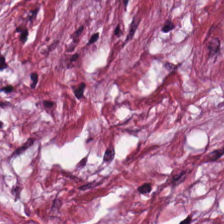224×224 px patch · H&E stain.
Tissue type = tumor-associated stroma.
